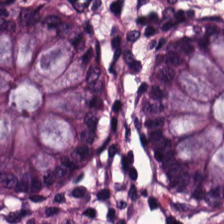Tissue type: normal colonic mucosa.
